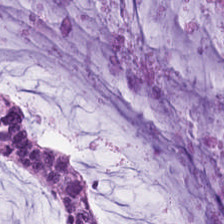H&E-stained tissue section. Tissue type: extracellular mucin.
